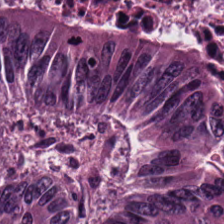Hematoxylin-and-eosin stained section; formalin-fixed paraffin-embedded section.
The predominant tissue is colorectal adenocarcinoma epithelium.
